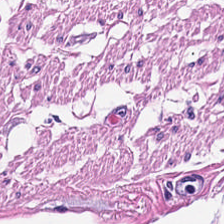H&E stain — The tissue is smooth muscle.
